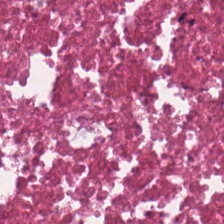H&E-stained tissue section · formalin-fixed paraffin-embedded section.
Debris.
